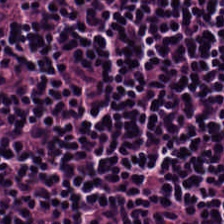Hematoxylin-and-eosin stained section. 224×224 px patch — Q: What is shown in this field?
A: Lymphocytes.
